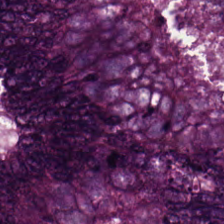Hematoxylin-and-eosin section: colorectal adenocarcinoma epithelium.
